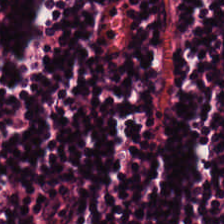Brightfield · hematoxylin-and-eosin stained section. Q: Identify the tissue.
A: This is lymphocytes.
